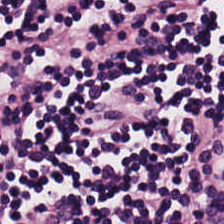FFPE tissue section; H&E stain — Q: What is shown in this field?
A: This is lymphoid infiltrate.
